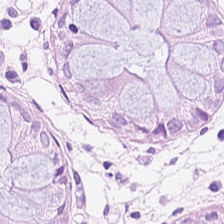FFPE tissue section. Hematoxylin and eosin. 20× equivalent magnification. Histology → normal colonic mucosa.
